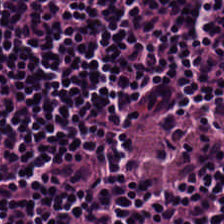Hematoxylin-and-eosin stained section. 224×224 px tile — Predominantly lymphocytic infiltrate.
